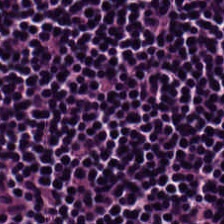Stain: H&E-stained tissue section.
Tissue class: lymphoid infiltrate.
